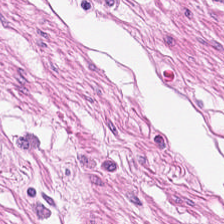Hematoxylin and eosin — This patch shows smooth muscle.
